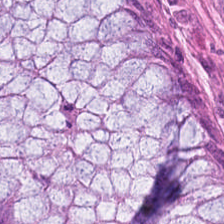H&E stain. {"tissue_type": "normal colon mucosa"}
